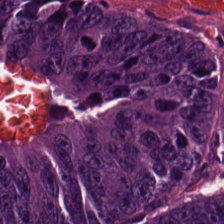{"tissue_type": "adenocarcinoma"}
